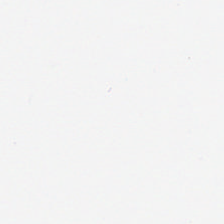Hematoxylin-and-eosin stained section. Content: no tissue.
